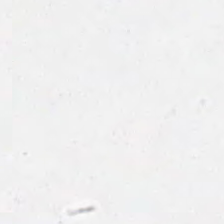H&E-stained tissue section — Empty background.
